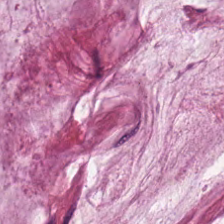Stain: H&E stain.
Tissue: mucin.
